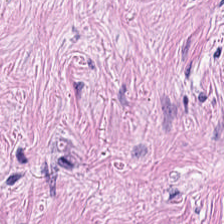Hematoxylin and eosin — Predominantly tumor-associated stroma.
